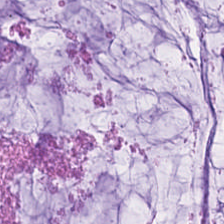Hematoxylin and eosin. Finding → mucus.
